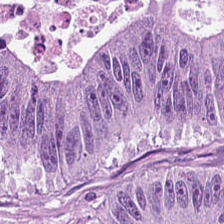Hematoxylin-and-eosin stained section · 224×224 pixel tile — Predominantly colorectal adenocarcinoma.
